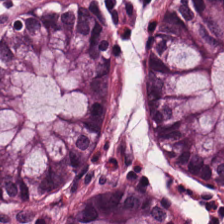H&E stain · FFPE.
Normal colonic mucosa.
